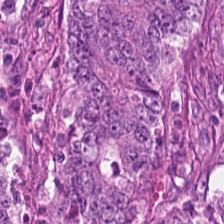Tissue class: colorectal adenocarcinoma epithelium.
